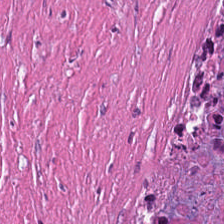224×224 px tile · WSI patch · hematoxylin-and-eosin stained section. Predominantly cellular debris.
